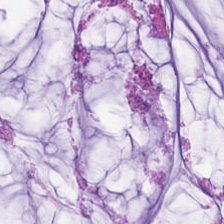FFPE · H&E-stained tissue section · brightfield microscopy. Q: What tissue is shown?
A: This is extracellular mucin.
